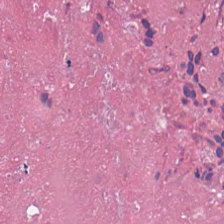Tissue class = cellular debris.
